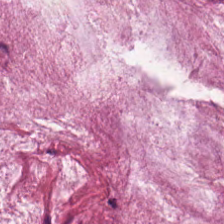Finding — mucin.
